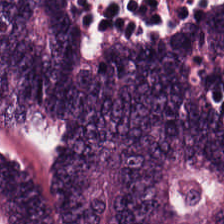0.5 µm per pixel. Hematoxylin and eosin.
Tissue: colorectal adenocarcinoma.
